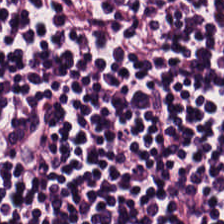Q: Identify the tissue.
A: It is lymphocytic infiltrate.
